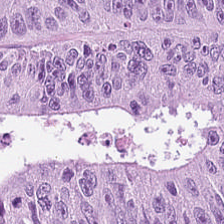Brightfield. H&E-stained tissue section. 224×224 px patch — Q: What is shown here?
A: The field shows tumor epithelium.
